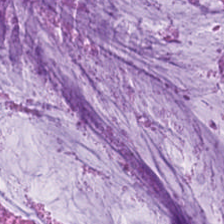H&E-stained tissue section — Tissue: extracellular mucin.
